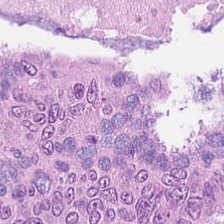Hematoxylin and eosin. Tissue — colorectal adenocarcinoma.
